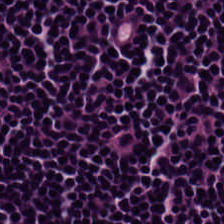FFPE tissue section. H&E. This field is lymphocytes.
